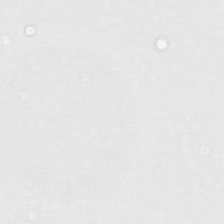H&E.
No tissue present; background only.
